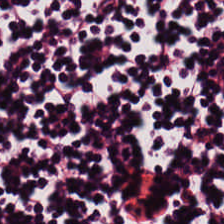Whole-slide-image patch. H&E.
The tissue here is lymphocytes.
